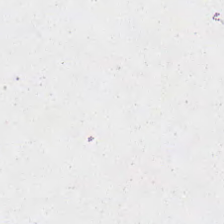Brightfield · H&E-stained tissue section.
Background.
